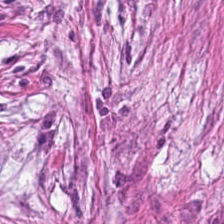H&E-stained tissue section showing cancer-associated stroma.
